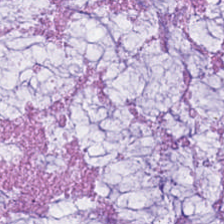H&E patch showing mucin.
